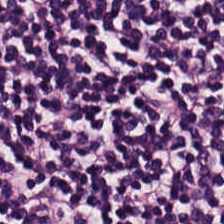Predominant tissue — lymphocytic infiltrate.
